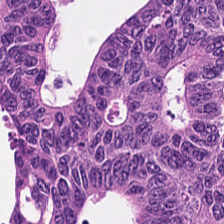H&E. 224×224 pixel tile. WSI patch. Tissue type = colorectal adenocarcinoma epithelium.
